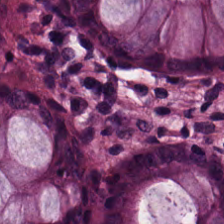Formalin-fixed paraffin-embedded section. 0.5 µm/px. Hematoxylin and eosin.
Showing normal colonic mucosa.
